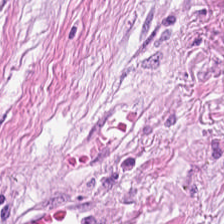H&E stain.
The tissue here is cancer-associated stroma.
